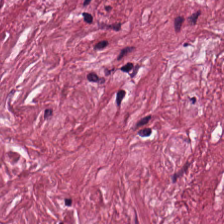FFPE tissue section; H&E stain — Cancer-associated stroma.
